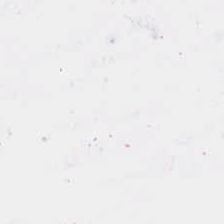Hematoxylin-and-eosin stained section.
Content — no tissue.
